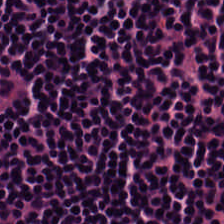The predominant tissue is lymphocytic infiltrate.
